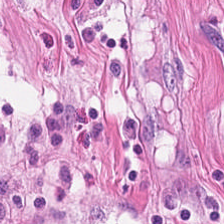Stain: H&E-stained tissue section.
Tissue type: muscularis.
